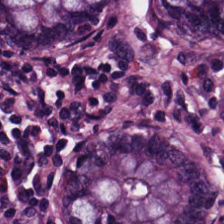H&E-stained tissue section.
Tissue type = normal colon mucosa.
